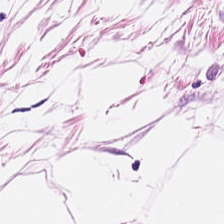H&E-stained tissue section; FFPE tissue section — Tissue: adipocytes.
